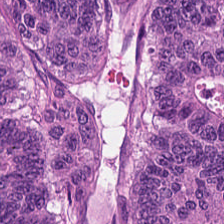H&E; 0.5 µm per pixel. {"tissue_type": "malignant epithelium"}
